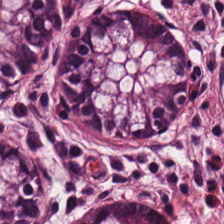224×224 pixel tile. H&E stain.
Predominant tissue: normal colonic mucosa.
